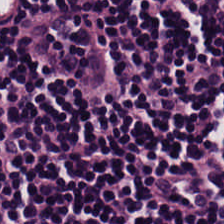Hematoxylin and eosin — Impression — lymphocyte aggregate.
